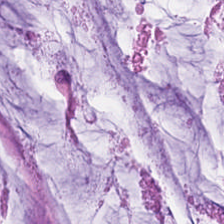H&E-stained tissue section. {"tissue_type": "extracellular mucin"}
